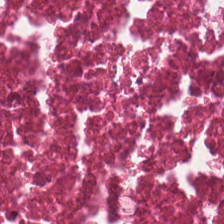Stain: hematoxylin-and-eosin stained section.
Classification: cellular debris.
